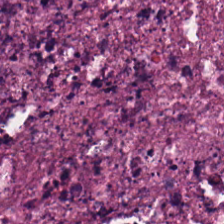Hematoxylin and eosin. WSI patch. Formalin-fixed paraffin-embedded section. Debris.
